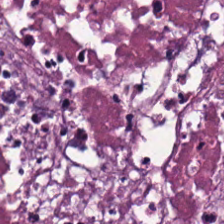Brightfield microscopy · 0.5 microns per pixel · hematoxylin and eosin. Q: What tissue is shown?
A: The field shows debris.
